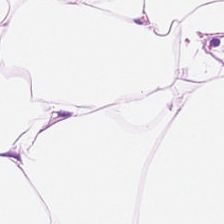H&E stain; brightfield — Predominantly fat tissue.
